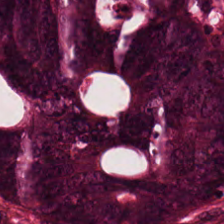Hematoxylin and eosin.
Q: Identify the tissue.
A: The field shows tumor epithelium.
